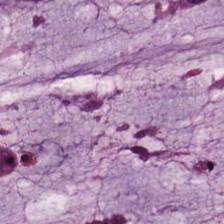Stain: hematoxylin and eosin.
Classification: mucin.
